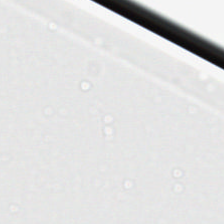Brightfield microscopy · 224×224 px tile · H&E stain — {"content": "background"}
